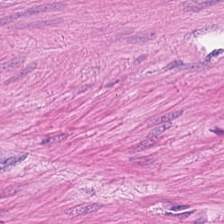H&E stain; 20× equivalent magnification; whole-slide-image patch — Predominant tissue = muscularis.
